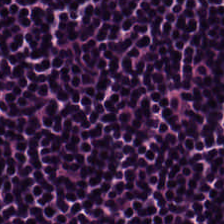WSI patch · 224×224 px tile · hematoxylin-and-eosin stained section — The tissue here is lymphoid infiltrate.
